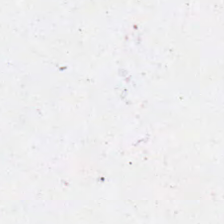H&E stain.
Content — no tissue.
